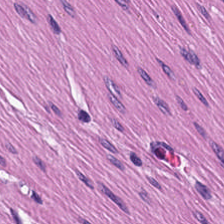Hematoxylin-and-eosin stained section.
Finding → muscularis.
